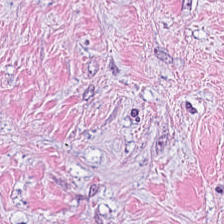H&E stain.
Q: What is the predominant tissue type?
A: This is tumor stroma.
